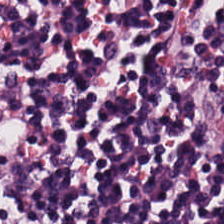H&E stain. Lymphoid infiltrate.
